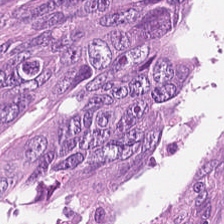Hematoxylin and eosin.
Q: Classify this patch.
A: The field shows adenocarcinoma.
